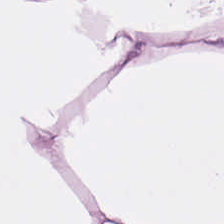H&E-stained section; the field shows adipocytes.
